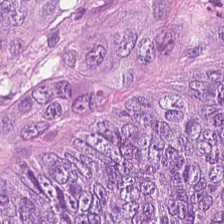Adenocarcinoma.
